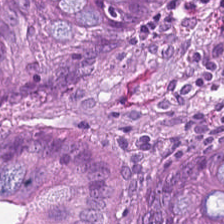H&E-stained tissue section. FFPE.
Q: Classify this patch.
A: This is benign colonic mucosa.
